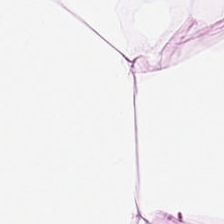224×224 px patch · hematoxylin-and-eosin stained section · formalin-fixed paraffin-embedded section. Q: What is shown here?
A: The field shows fat tissue.
